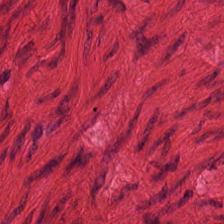{"tissue_type": "smooth-muscle tissue"}
